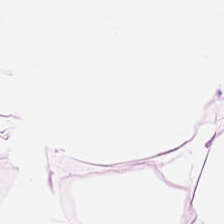H&E-stained tissue section. Adipose tissue.
